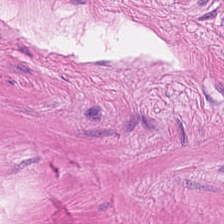Predominantly smooth-muscle tissue.
